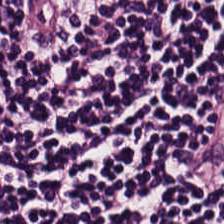{"tissue_type": "lymphocytic infiltrate"}
